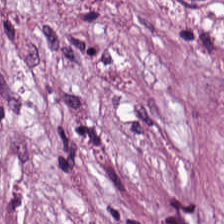20× equivalent magnification. Formalin-fixed paraffin-embedded section. Hematoxylin-and-eosin stained section. Histology → cancer-associated stroma.
